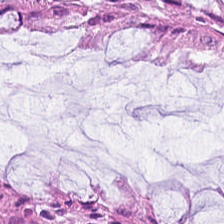Hematoxylin-and-eosin stained section.
Predominantly normal colon mucosa.
